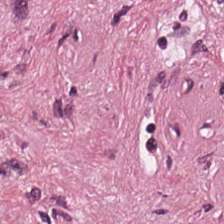Brightfield microscopy; H&E stain. The predominant tissue is desmoplastic stroma.
